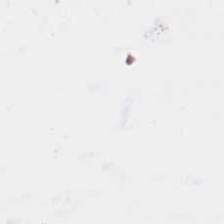This field is background (no tissue).
